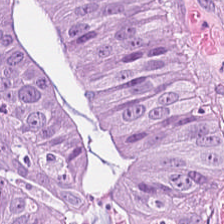H&E stain. {"tissue_type": "malignant epithelium"}
